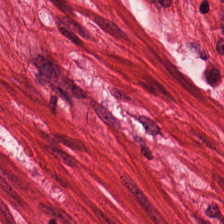FFPE; 0.5 µm/px; H&E stain — This patch shows muscularis.
